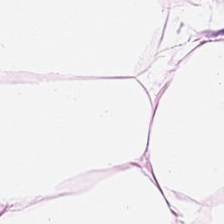Classification: adipose tissue.
